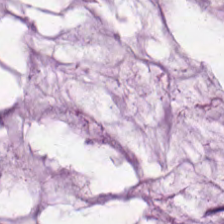H&E stain.
Q: What is shown here?
A: Mucin.
